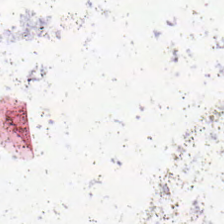{"content": "empty background"}
